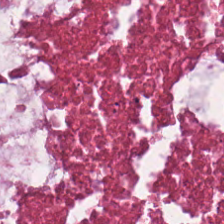H&E stain. The predominant tissue is debris.
